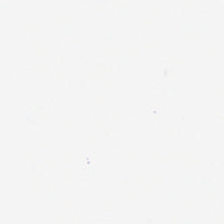Hematoxylin and eosin. Content: background.
